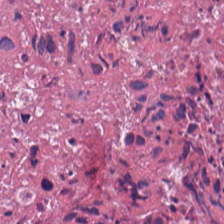H&E.
Predominantly debris.
